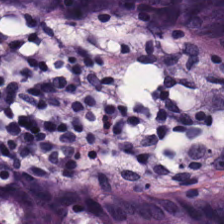H&E-stained tissue section.
Histology → normal colon mucosa.
